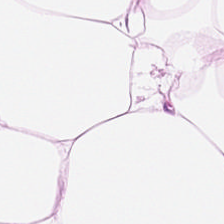224×224 px tile · 20× equivalent magnification · hematoxylin and eosin. Predominantly fat tissue.
